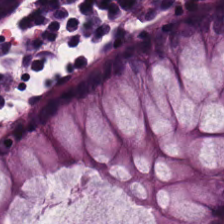0.5 µm per pixel; 224×224 pixel tile; hematoxylin and eosin. Tissue type: non-neoplastic colon mucosa.
